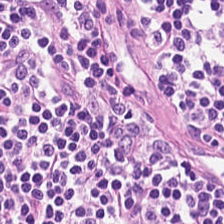Hematoxylin and eosin — Lymphocytic infiltrate.
